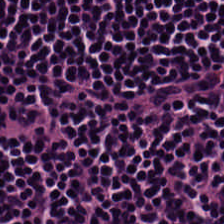H&E. This patch shows lymphocyte aggregate.
